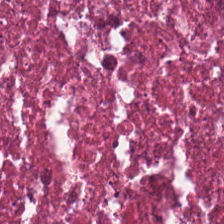H&E — Tissue type: debris.
